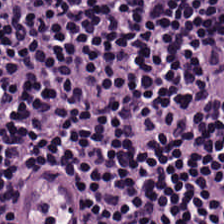Q: What does this patch show?
A: This is lymphocytic infiltrate.
